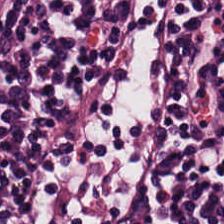Hematoxylin and eosin — Finding → lymphocytes.
